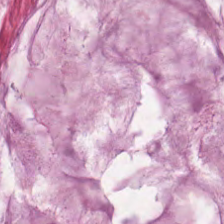0.5 microns per pixel. FFPE tissue section. Hematoxylin-and-eosin stained section — The tissue here is mucus.
